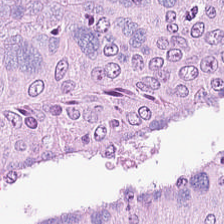Stain: hematoxylin and eosin.
Resolution: 0.5 µm per pixel.
Tissue type: colorectal adenocarcinoma.
